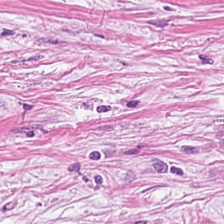Stain: H&E-stained tissue section.
Tissue class: tumor stroma.
